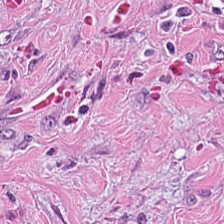H&E-stained tissue section. 20× equivalent magnification.
Impression — cancer-associated stroma.
